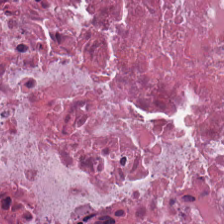FFPE. Hematoxylin and eosin. Tissue type — cellular debris.
